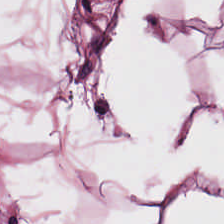H&E stain — Tissue class = adipose tissue.
